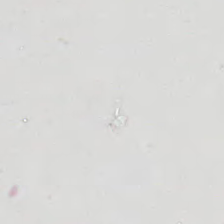Stain: H&E-stained tissue section.
Acquisition: whole-slide-image patch.
Content: background (no tissue).
